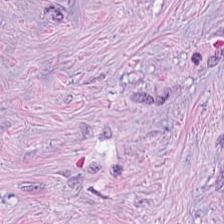Tissue class — desmoplastic stroma.
